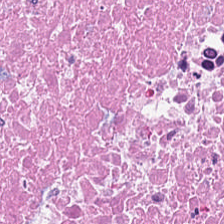Tissue class — necrotic debris.
